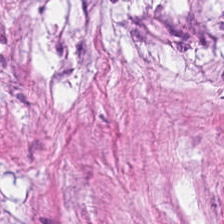H&E stain — Tissue — cancer-associated stroma.
